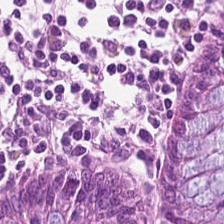H&E — Q: What is shown here?
A: This is benign colonic mucosa.
